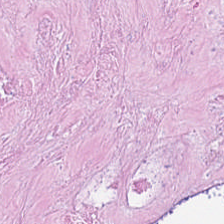H&E-stained section; the field shows debris.
